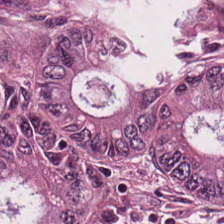20× equivalent magnification. Hematoxylin-and-eosin stained section. Predominantly adenocarcinoma.
